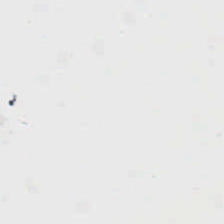Hematoxylin and eosin. No tissue.
